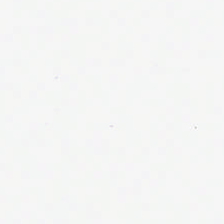Brightfield; hematoxylin-and-eosin stained section.
Background — no tissue in this field.
